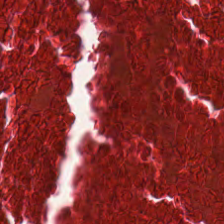Tissue class = necrotic debris.
